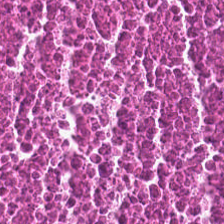H&E-stained tissue section — Q: What is the predominant tissue type?
A: It is cellular debris.
